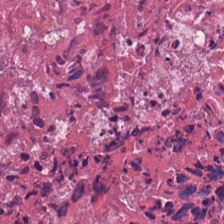Hematoxylin-and-eosin stained section · 224×224 px tile — Showing debris.
